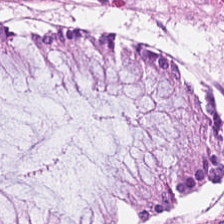Stain: H&E.
Classification: normal colon mucosa.
